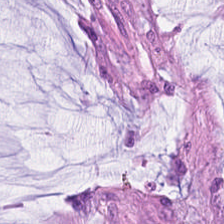Stain: H&E-stained tissue section.
Tissue type: mucin.
